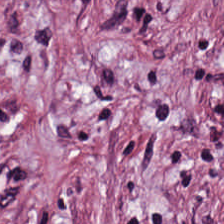20× equivalent magnification · H&E-stained tissue section — Q: What is shown in this field?
A: The field shows desmoplastic stroma.
